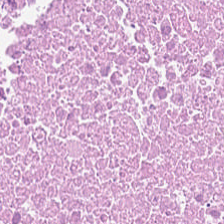H&E stain — Q: What does this patch show?
A: This is necrotic debris.
